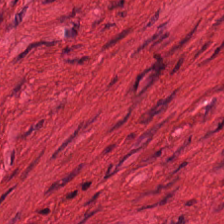H&E-stained tissue section — Predominantly muscularis.
